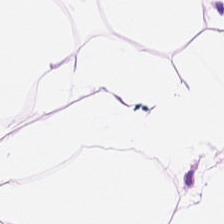0.5 microns per pixel; H&E. Q: What is the predominant tissue type?
A: It is adipose.
